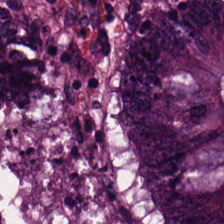Stain: H&E stain.
Preparation: FFPE tissue section.
Tissue: adenocarcinoma.
